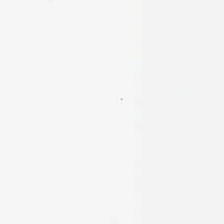Stain: H&E-stained tissue section.
Resolution: 0.5 µm per pixel.
Content: background.
